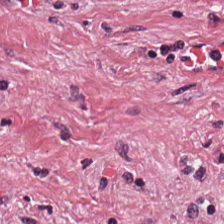Hematoxylin and eosin.
Tissue type = cancer-associated stroma.
